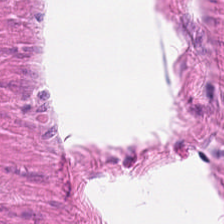H&E — smooth muscle.
